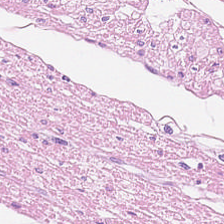Finding — smooth-muscle tissue.
